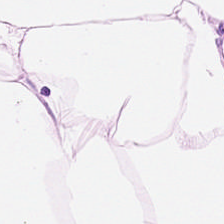H&E stain; 0.5 µm per pixel.
Finding → adipocytes.
